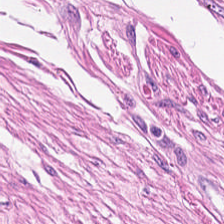Stain: hematoxylin-and-eosin stained section.
Classification: smooth muscle.
